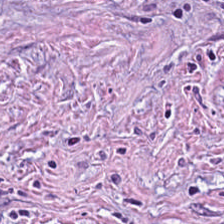FFPE; 224×224 pixel tile; H&E-stained tissue section. Histology → tumor stroma.
